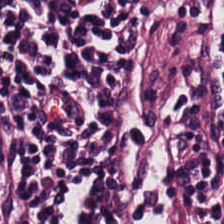Predominantly lymphoid infiltrate.
